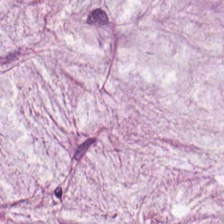Stain: H&E.
Tissue class: extracellular mucin.
